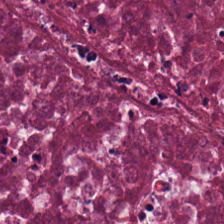H&E stain. Classification = debris.
